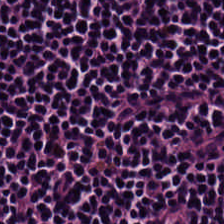Brightfield microscopy · H&E.
Q: What tissue is shown?
A: The field shows lymphocytes.
